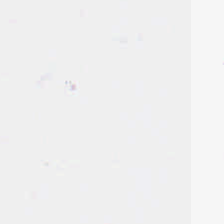Whole-slide-image patch; H&E — Q: What does this patch show?
A: Background.
